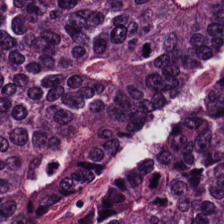The tissue here is malignant epithelium.
